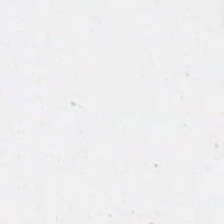Whole-slide-image patch · H&E · 20× equivalent magnification. Background — no tissue in this field.
